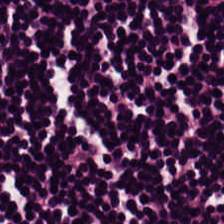H&E.
Lymphoid infiltrate.
